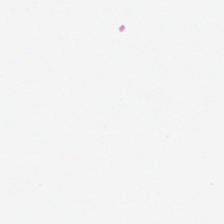H&E. Q: Classify this patch.
A: The field shows background (no tissue).
